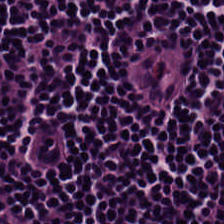H&E stain — Q: What tissue type is shown here?
A: This is lymphocyte aggregate.
